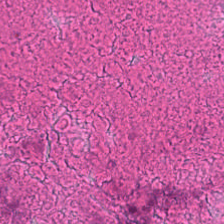FFPE tissue section. H&E stain. Cellular debris.
